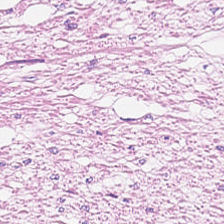Q: What is shown here?
A: It is smooth-muscle tissue.
